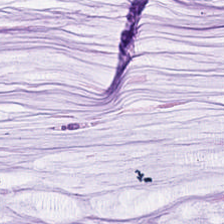Predominant tissue: extracellular mucin.
